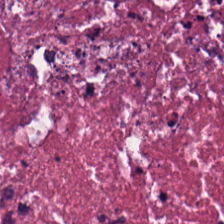0.5 microns per pixel; WSI patch; hematoxylin and eosin.
Necrotic debris.
